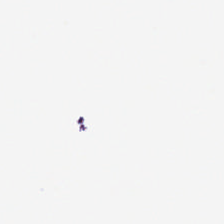Background — no tissue in this field.
